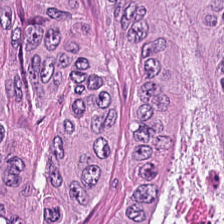H&E-stained tissue section; 0.5 microns per pixel. The predominant tissue is colorectal adenocarcinoma epithelium.
